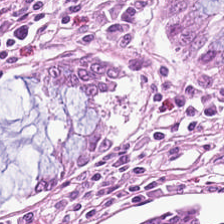Stain: H&E.
Tissue: normal colonic mucosa.
